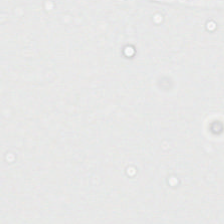H&E; 224×224 px tile.
{"content": "empty background"}
